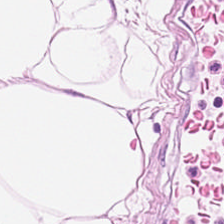Stain: hematoxylin-and-eosin stained section.
Classification: fat tissue.
